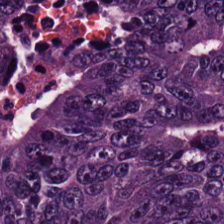Hematoxylin and eosin.
This patch shows colorectal adenocarcinoma.
